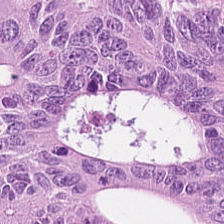The tissue here is colorectal adenocarcinoma.
